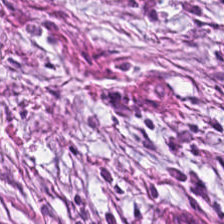Tissue type: cancer-associated stroma.
